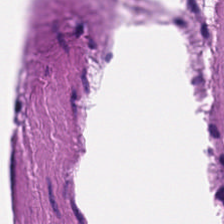H&E stain. Tissue: muscularis.
